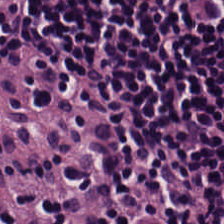H&E; WSI patch.
The tissue is lymphocyte aggregate.
